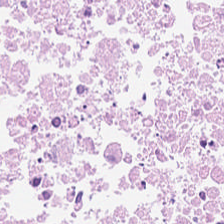Stain: H&E-stained tissue section.
Predominant tissue: necrotic debris.
